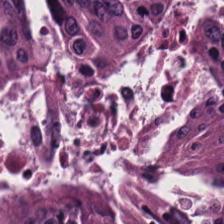Hematoxylin and eosin; 224×224 px patch; FFPE. Tissue class: malignant epithelium.
